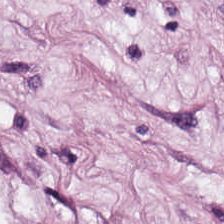H&E stain. Predominantly fat tissue.
